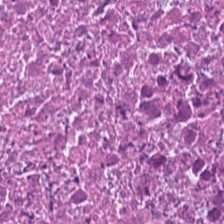H&E-stained tissue section · 0.5 microns per pixel. This patch shows cellular debris.
